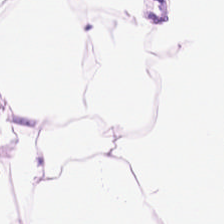H&E-stained tissue section — Q: What is the predominant tissue type?
A: It is adipocytes.
